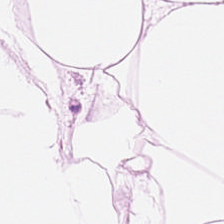H&E stain — Adipose tissue.
